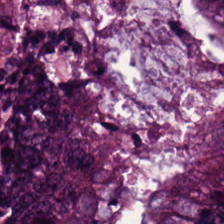Tissue type — colorectal adenocarcinoma epithelium.
